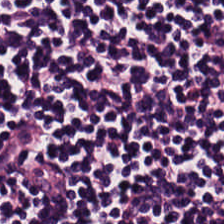Q: What is shown here?
A: It is lymphoid infiltrate.
